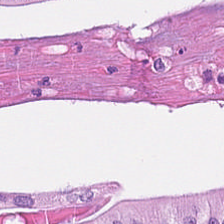Hematoxylin and eosin.
This patch shows malignant epithelium.
